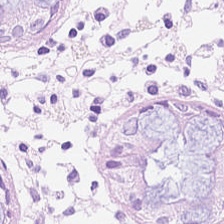Hematoxylin-and-eosin stained section.
Showing normal colonic mucosa.
